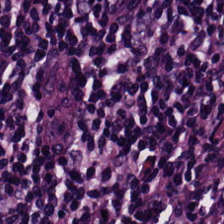H&E patch showing lymphocytic infiltrate.
